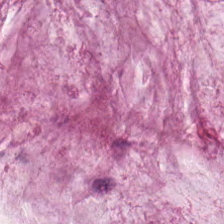H&E-stained tissue section. Mucus.
